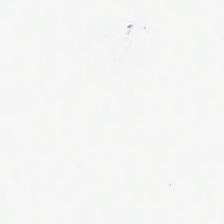Stain: H&E stain.
Classification: background.
